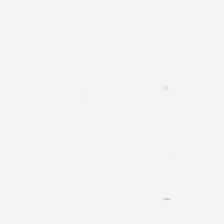0.5 µm/px · H&E.
This patch shows background.
